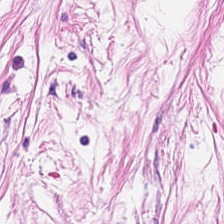The tissue is cancer-associated stroma.
